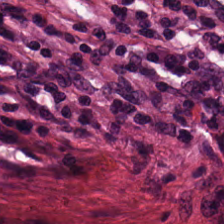H&E — Showing tumor-associated stroma.
